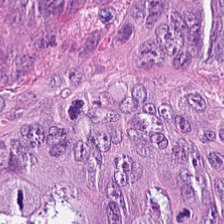H&E. Formalin-fixed paraffin-embedded section. Brightfield microscopy — Q: What is the predominant tissue type?
A: The field shows tumor epithelium.
